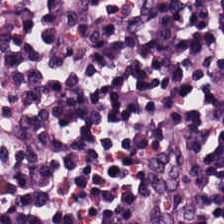H&E-stained tissue section · 224×224 px tile · brightfield microscopy.
Q: What tissue type is shown here?
A: Lymphocyte aggregate.
